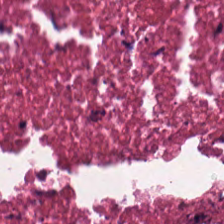The predominant tissue is debris.
